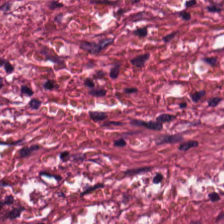Formalin-fixed paraffin-embedded section; H&E stain.
Histology → desmoplastic stroma.
